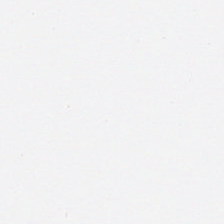H&E stain — Classification — background (no tissue).
